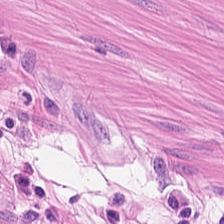Hematoxylin and eosin.
Predominantly smooth-muscle tissue.
